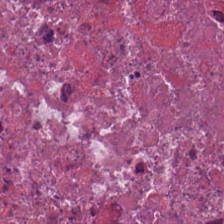H&E stain; 224×224 px tile.
Q: What does this patch show?
A: It is cellular debris.
